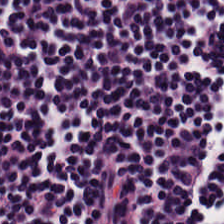FFPE. Hematoxylin and eosin. Predominantly lymphocyte aggregate.
